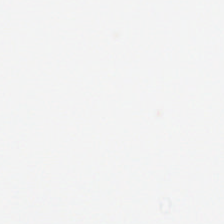H&E-stained tissue section — Q: What does this patch show?
A: It is empty background.
